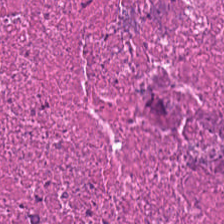Q: What type of tissue is this?
A: This is necrotic debris.
